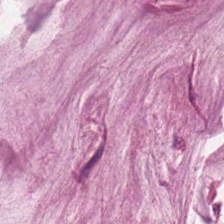Stain: H&E.
Tissue type: extracellular mucin.
